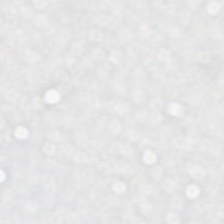H&E stain. Impression → background (no tissue).
